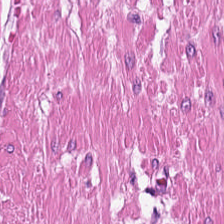H&E — Q: What is the predominant tissue type?
A: This is muscularis.
